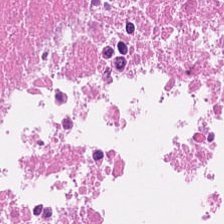FFPE · H&E-stained tissue section.
{"tissue_type": "debris"}
